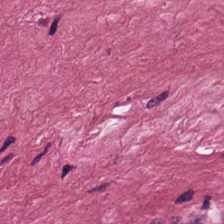H&E-stained tissue section.
The tissue here is desmoplastic stroma.
